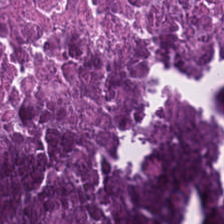224×224 px patch; H&E stain — Q: Classify this patch.
A: Cellular debris.
